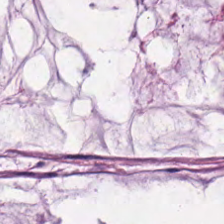WSI patch; FFPE; H&E.
Q: What is shown here?
A: Mucin.
